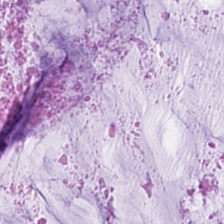Hematoxylin and eosin — This patch shows mucin.
